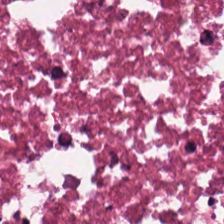H&E. 0.5 µm per pixel.
This patch shows necrotic debris.
